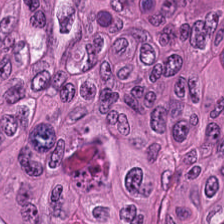H&E patch showing adenocarcinoma.
